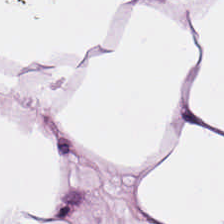Tissue class: adipocytes.
